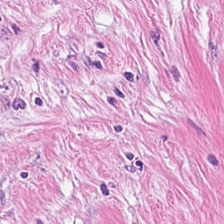Hematoxylin-and-eosin stained section · formalin-fixed paraffin-embedded section · 20× equivalent magnification. Tissue class: tumor-associated stroma.
